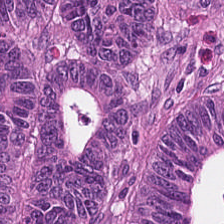H&E.
This field is colorectal adenocarcinoma epithelium.
